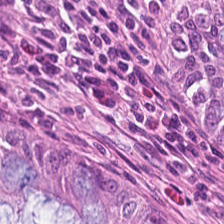FFPE. WSI patch. Hematoxylin and eosin.
{"tissue_type": "non-neoplastic colon mucosa"}
